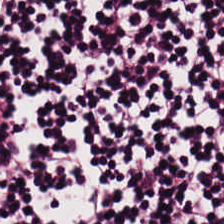Stain: H&E stain.
Classification: lymphoid infiltrate.
